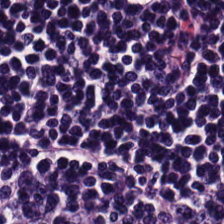H&E stain.
Q: What tissue type is shown here?
A: The field shows lymphoid infiltrate.
